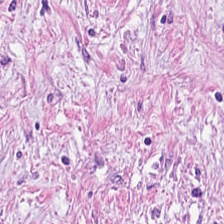FFPE tissue section; 20× equivalent magnification; H&E-stained tissue section.
Classification = desmoplastic stroma.
